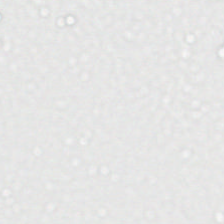Classification: empty background.
